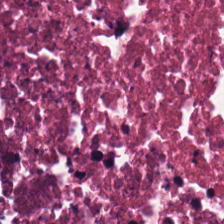H&E-stained tissue section; brightfield microscopy — Predominantly cellular debris.
